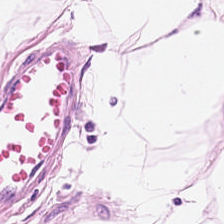Hematoxylin-and-eosin stained section — Q: What type of tissue is this?
A: The field shows adipose tissue.
